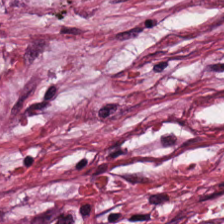H&E-stained tissue section — Histology → tumor stroma.
